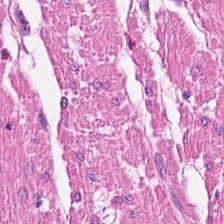Stain: H&E.
Predominant tissue: muscularis.
